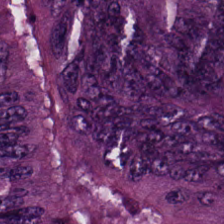Hematoxylin-and-eosin stained section.
The tissue is malignant epithelium.
